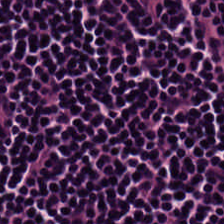H&E-stained tissue section. Tissue: lymphocyte aggregate.
